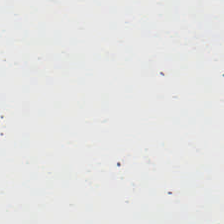Whole-slide-image patch. H&E stain.
This field is background (no tissue).
